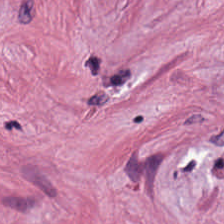Finding — desmoplastic stroma.
